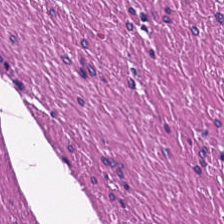Hematoxylin and eosin; WSI patch. Showing muscularis.
